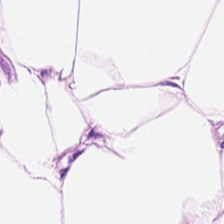Stain: H&E.
Tissue class: fat tissue.
